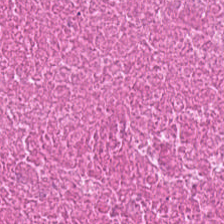H&E. FFPE.
Finding → debris.
